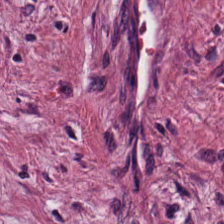224×224 pixel tile · H&E. Classification — tumor-associated stroma.
